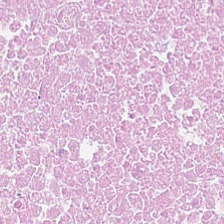Hematoxylin-and-eosin stained section. FFPE tissue section.
This patch shows necrotic debris.
